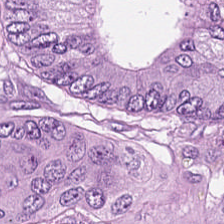H&E-stained tissue section. The tissue is malignant epithelium.
